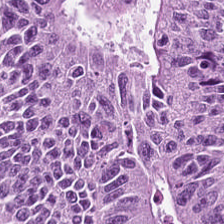Stain: H&E-stained tissue section.
Predominant tissue: tumor epithelium.
